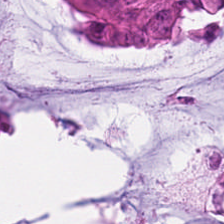Hematoxylin and eosin. Tissue type: malignant epithelium.
